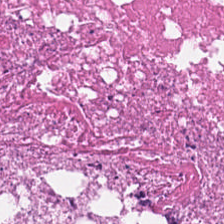H&E-stained tissue section. Tissue class = debris.
